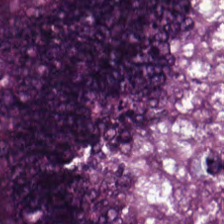Stain: H&E-stained tissue section.
Tissue: tumor epithelium.
